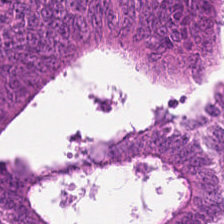FFPE. H&E-stained tissue section.
Tissue type = colorectal adenocarcinoma.
